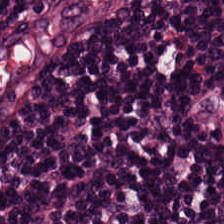Lymphoid infiltrate.
